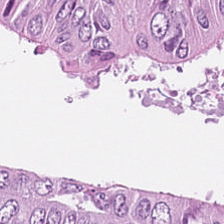H&E patch showing adenocarcinoma.
